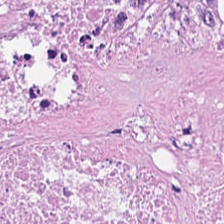224×224 pixel tile · 0.5 µm/px · hematoxylin-and-eosin stained section — Cellular debris.
